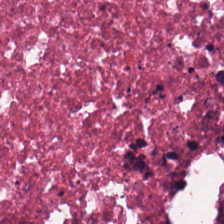FFPE; 224×224 px tile; hematoxylin and eosin — Impression → cellular debris.
